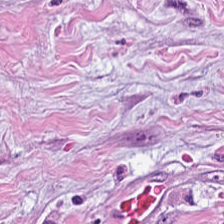H&E; WSI patch; FFPE tissue section.
Q: What is shown here?
A: It is cancer-associated stroma.
